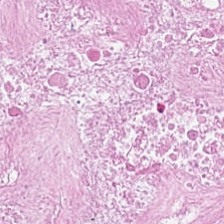H&E stain. 224×224 px patch — Tissue type — debris.
